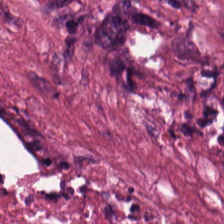This patch shows cellular debris.
